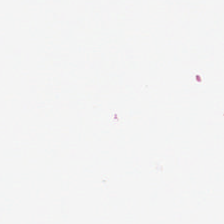Impression — empty background.
